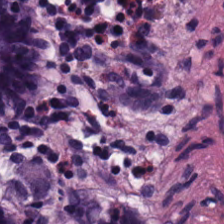0.5 microns per pixel · whole-slide-image patch · H&E.
Impression → non-neoplastic colon mucosa.
